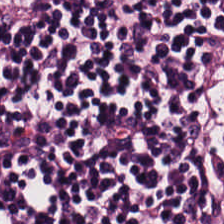Lymphocytes.
